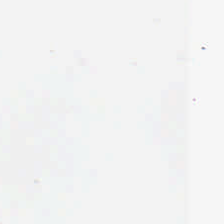The field content is empty background.
